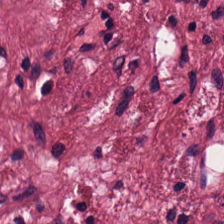Hematoxylin and eosin — The predominant tissue is desmoplastic stroma.
